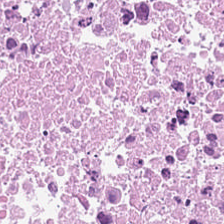H&E stain · 20× equivalent magnification.
Tissue: debris.
